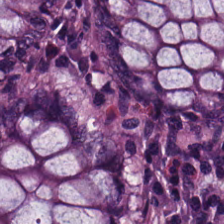Hematoxylin and eosin.
Tissue class: non-neoplastic colon mucosa.
